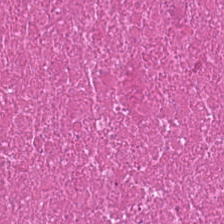Impression — necrotic debris.
